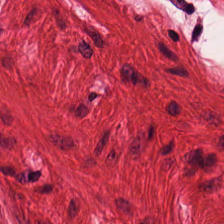The predominant tissue is muscularis.
